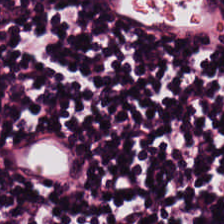Hematoxylin-and-eosin stained section. Q: What tissue is shown?
A: It is lymphocyte aggregate.
